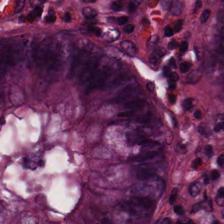WSI patch · FFPE · H&E stain. Impression — benign colonic mucosa.
